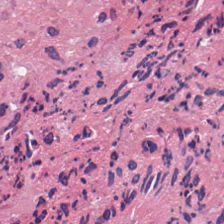224×224 px patch. Hematoxylin-and-eosin stained section. Finding → cellular debris.
